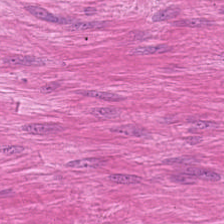H&E stain; 0.5 µm/px — Q: What tissue type is shown here?
A: The field shows smooth-muscle tissue.
